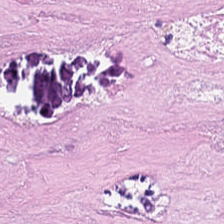Predominant tissue: debris.
